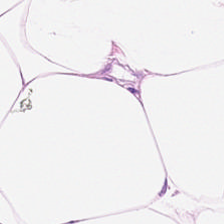H&E-stained tissue section — Impression — fat tissue.
